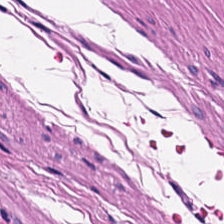This field is muscularis.
